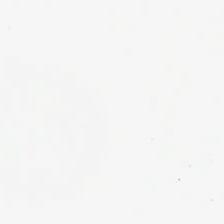Stain: H&E stain.
Resolution: 0.5 µm/px.
Content: empty background.
